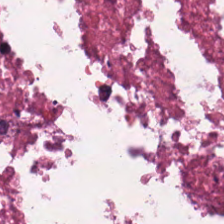H&E stain. Tissue class — cellular debris.
